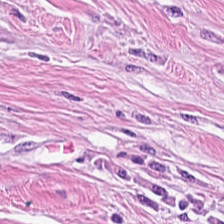H&E-stained tissue section; 224×224 px tile.
Showing tumor stroma.
